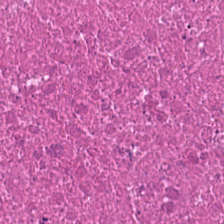H&E · 0.5 µm per pixel · FFPE tissue section — This field is necrotic debris.
